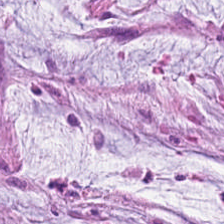224×224 px patch. H&E. Q: What is shown here?
A: Mucus.
